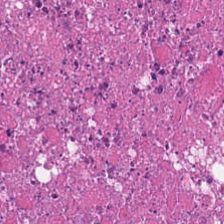H&E stain.
Predominant tissue: cellular debris.
